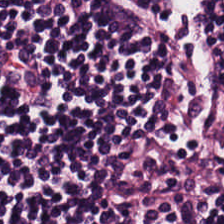Hematoxylin-and-eosin stained section.
Showing lymphocyte aggregate.
